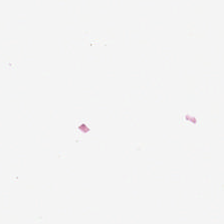Hematoxylin and eosin · 224×224 px patch · whole-slide-image patch.
Q: What is shown in this field?
A: This is empty background.
